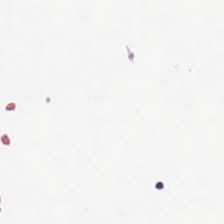Field content = no tissue.
